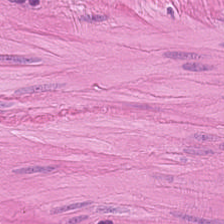Q: What type of tissue is this?
A: The field shows smooth-muscle tissue.
